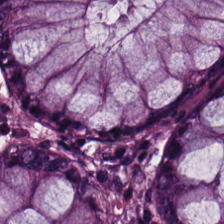Hematoxylin-and-eosin stained section. The predominant tissue is non-neoplastic colon mucosa.
